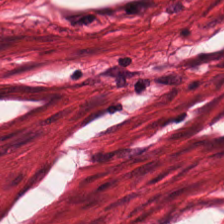H&E-stained tissue section.
Smooth-muscle tissue.
